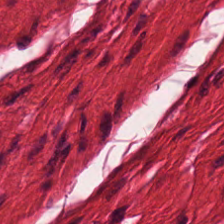0.5 µm/px · H&E-stained tissue section · 224×224 pixel tile — The tissue here is muscularis.
